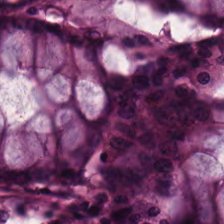224×224 pixel tile. H&E.
The classification is non-neoplastic colon mucosa.
